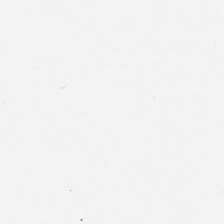H&E stain.
Content — background.
